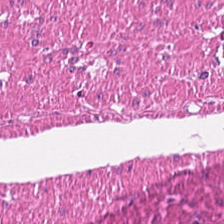Hematoxylin-and-eosin stained section — Predominantly smooth muscle.
